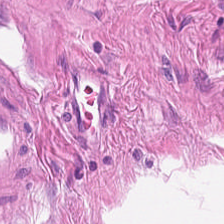Brightfield microscopy · hematoxylin-and-eosin stained section · FFPE tissue section. Tissue type: smooth muscle.
